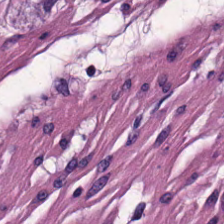Impression → smooth muscle.
